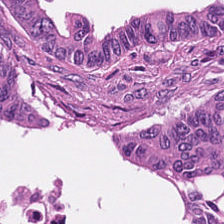Stain: hematoxylin-and-eosin stained section.
Tissue: colorectal adenocarcinoma epithelium.
